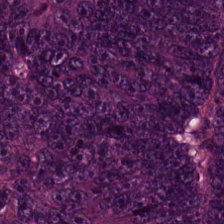0.5 µm/px; H&E.
Tissue: adenocarcinoma.
